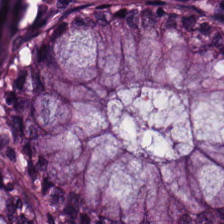H&E — Tissue — non-neoplastic colon mucosa.
